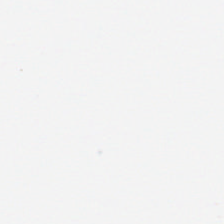Stain: H&E-stained tissue section.
Acquisition: WSI patch.
Preparation: FFPE tissue section.
Field content: background (no tissue).
